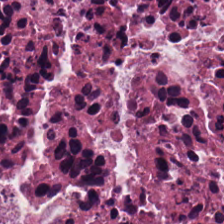Hematoxylin and eosin. Q: What tissue is shown?
A: The field shows debris.
